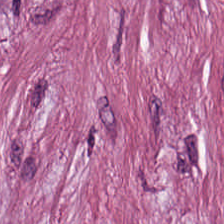H&E. Finding — desmoplastic stroma.
